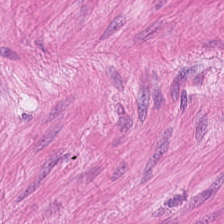H&E. This patch shows smooth muscle.
